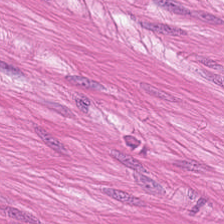H&E-stained tissue section — Histology → smooth-muscle tissue.
